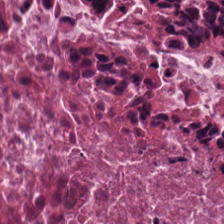WSI patch. 224×224 px patch. Hematoxylin-and-eosin stained section — Predominant tissue: necrotic debris.
